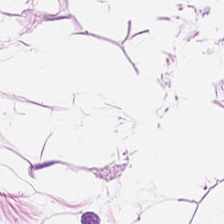224×224 pixel tile; hematoxylin-and-eosin stained section; FFPE.
Q: What is shown here?
A: The field shows adipose tissue.
